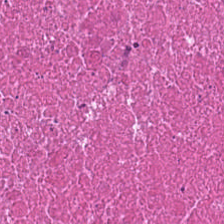Hematoxylin and eosin. Debris.
